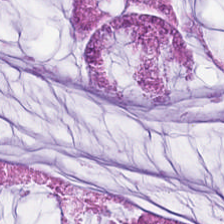Hematoxylin-and-eosin stained section; brightfield; 224×224 px patch. The classification is mucin.
